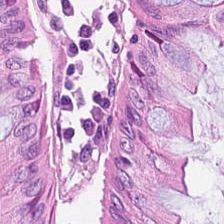Tissue type: non-neoplastic colon mucosa.
